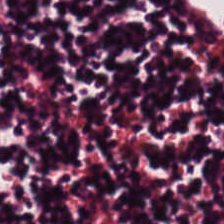WSI patch. Hematoxylin and eosin. Formalin-fixed paraffin-embedded section — The classification is lymphocytic infiltrate.
